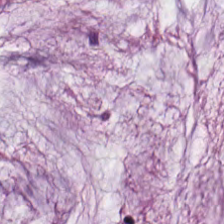H&E stain. The predominant tissue is mucus.
